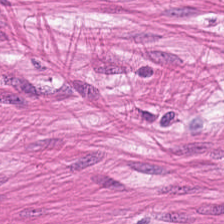H&E.
Finding → smooth muscle.
